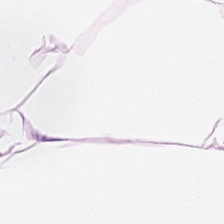Predominant tissue: adipose tissue.
